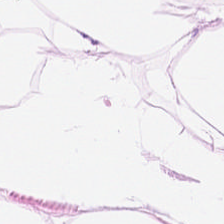Stain: H&E.
Acquisition: WSI patch.
Classification: adipose tissue.
